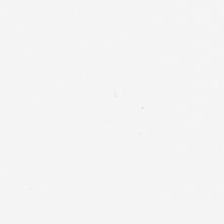No tissue.
